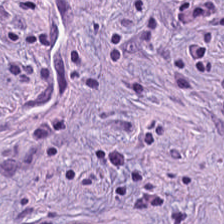0.5 µm/px. H&E. Tissue class = desmoplastic stroma.
